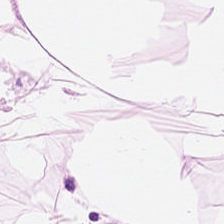H&E-stained tissue section; 0.5 µm per pixel.
Q: What is shown in this field?
A: This is adipocytes.
